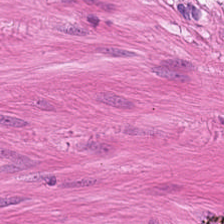Histology → smooth-muscle tissue.
